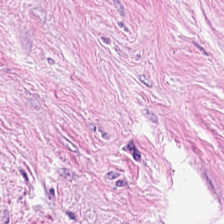Hematoxylin and eosin.
Impression → cancer-associated stroma.
